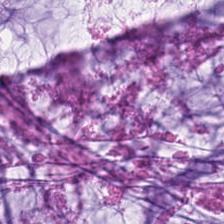Hematoxylin-and-eosin stained section.
Showing mucus.
